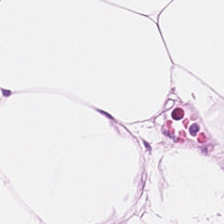20× equivalent magnification. H&E. 224×224 pixel tile.
Showing adipose.
